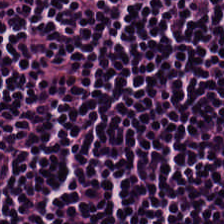Hematoxylin and eosin. Predominant tissue: lymphocyte aggregate.
